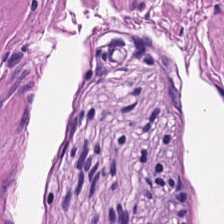H&E-stained tissue section — Classification = muscularis.
